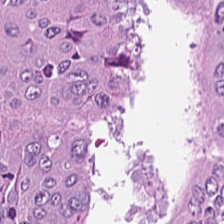H&E.
Tissue type — malignant epithelium.
